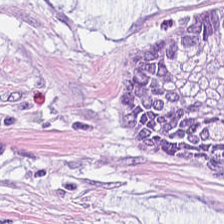{"tissue_type": "mucus"}
